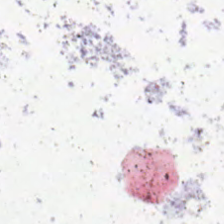Hematoxylin and eosin; 224×224 pixel tile; WSI patch — This field is background (no tissue).
